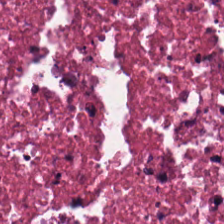H&E-stained tissue section. The tissue here is debris.
